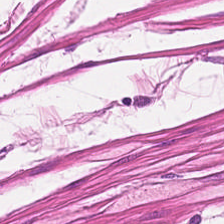FFPE. Brightfield. Hematoxylin and eosin.
Q: What does this patch show?
A: The field shows smooth muscle.
